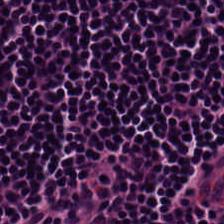H&E-stained tissue section — Histology → lymphoid infiltrate.
